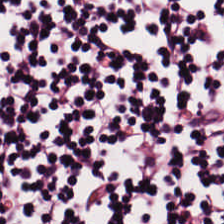H&E · 224×224 pixel tile · 0.5 µm per pixel.
The predominant tissue is lymphocyte aggregate.
